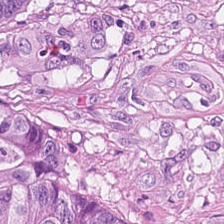Showing colorectal adenocarcinoma.
